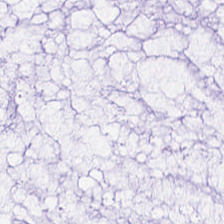FFPE; H&E — Extracellular mucin.
